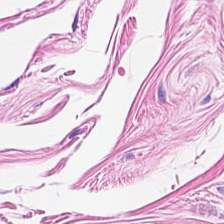H&E stain. FFPE. 0.5 microns per pixel — Histology → muscularis.
